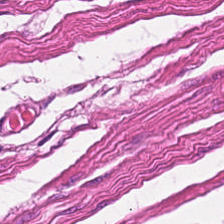Tissue type — muscularis.
